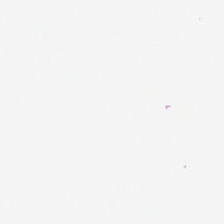H&E stain. Impression — empty background.
